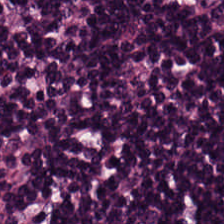Histology — lymphocytes.
